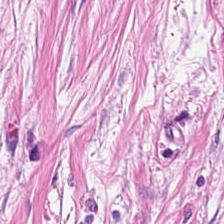Q: What tissue is shown?
A: This is desmoplastic stroma.
